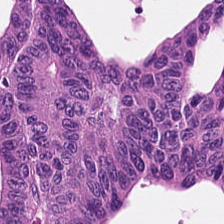Hematoxylin-and-eosin stained section. {"tissue_type": "tumor epithelium"}
